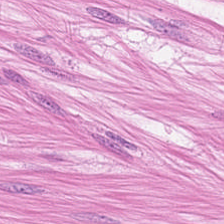FFPE. H&E stain.
Tissue type = smooth-muscle tissue.
